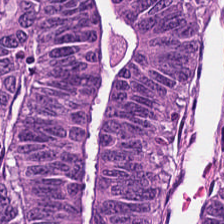Stain: hematoxylin and eosin.
Classification: colorectal adenocarcinoma.
